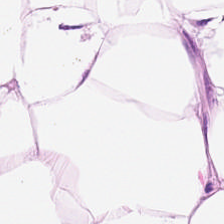Impression → fat tissue.
